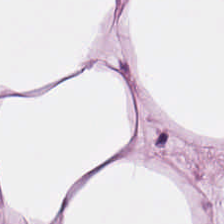H&E stain · 224×224 px tile. Classification = fat tissue.
